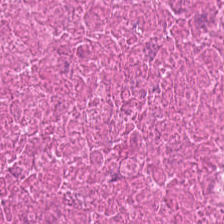Q: Identify the tissue.
A: Necrotic debris.
